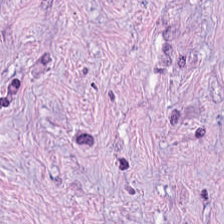Hematoxylin and eosin — The predominant tissue is cancer-associated stroma.
